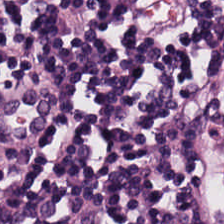Hematoxylin-and-eosin stained section; 224×224 pixel tile.
Lymphocyte aggregate.
